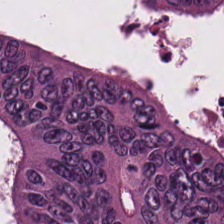Hematoxylin and eosin.
Q: What tissue is shown?
A: The field shows tumor epithelium.
